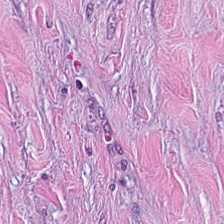Classification: tumor stroma.
